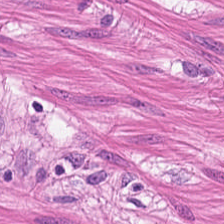Brightfield · hematoxylin and eosin. {"tissue_type": "smooth-muscle tissue"}
